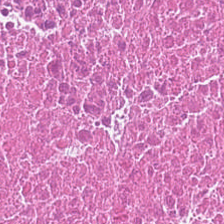Hematoxylin-and-eosin stained section.
Tissue type: necrotic debris.
